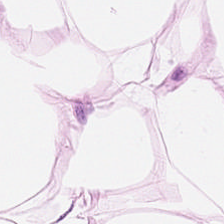Hematoxylin and eosin · 224×224 px patch — Fat tissue.
